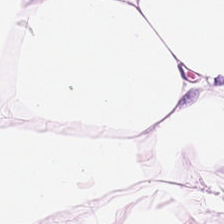Tissue: adipocytes.
